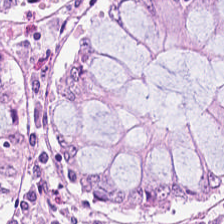FFPE tissue section; H&E stain.
Q: What is shown here?
A: Benign colonic mucosa.
